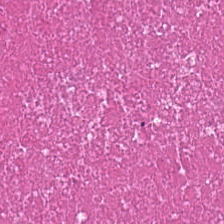H&E.
This patch shows necrotic debris.
